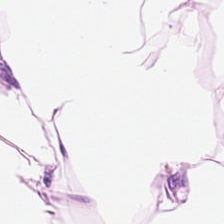H&E. FFPE. Impression — adipocytes.
